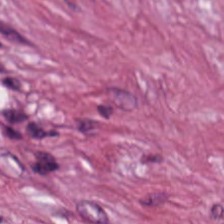H&E-stained tissue section.
Histology — tumor-associated stroma.
